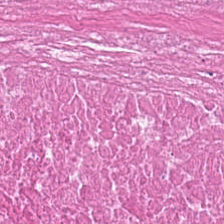Stain: H&E stain.
Tile size: 224×224 px patch.
Tissue class: debris.
